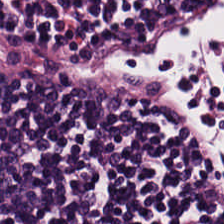The predominant tissue is lymphocyte aggregate.
